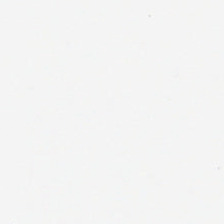Stain: H&E-stained tissue section.
Preparation: formalin-fixed paraffin-embedded section.
Content: background.
